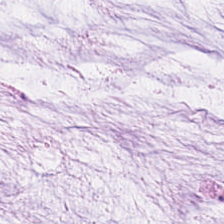H&E-stained tissue section — Q: What is shown in this field?
A: Mucin.
